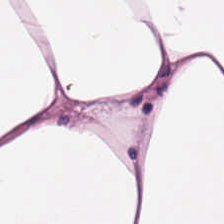H&E · FFPE tissue section · brightfield. Histology — adipose.
